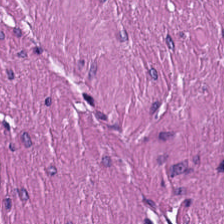Stain: hematoxylin-and-eosin stained section.
Predominant tissue: smooth-muscle tissue.
